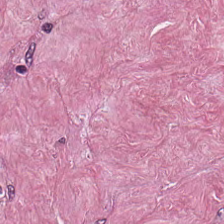H&E stain. Showing tumor-associated stroma.
